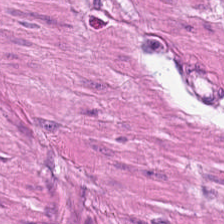Predominant tissue = muscularis.
